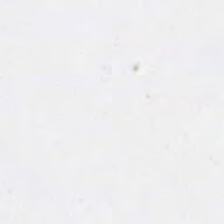Stain: hematoxylin and eosin.
Classification: empty background.
